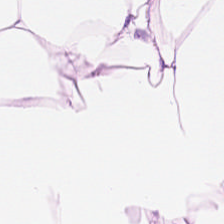Finding → adipose tissue.
